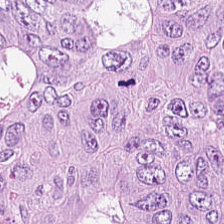H&E stain.
The tissue here is tumor epithelium.
